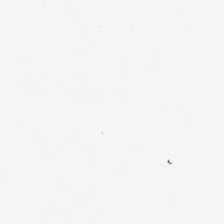H&E · FFPE — {"content": "background"}
